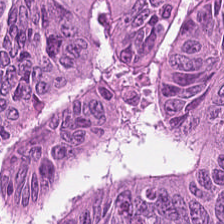{"tissue_type": "colorectal adenocarcinoma epithelium"}
